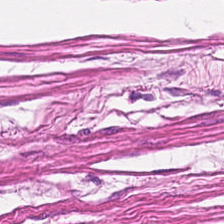0.5 µm/px. Hematoxylin and eosin.
Impression — smooth muscle.
